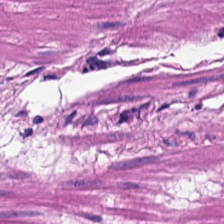This field is muscularis.
